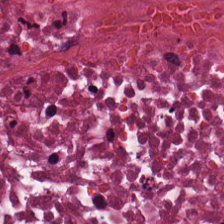224×224 px patch; hematoxylin-and-eosin stained section.
Debris.
